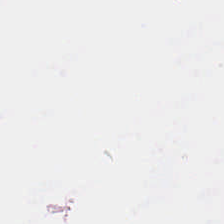Empty field — background.
